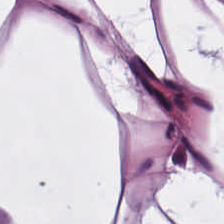224×224 pixel tile; H&E-stained tissue section.
Adipose.
